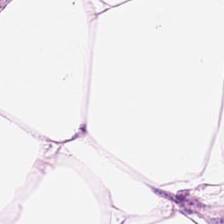H&E-stained tissue section; WSI patch.
The tissue here is adipose.
